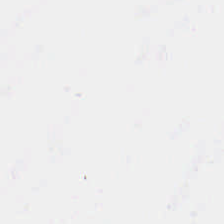H&E-stained tissue section — Field content — empty background.
